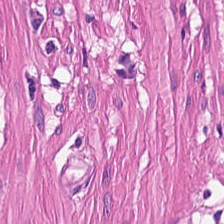H&E. 224×224 px patch.
Impression → smooth-muscle tissue.
